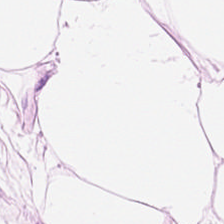H&E.
Histology — adipose tissue.
